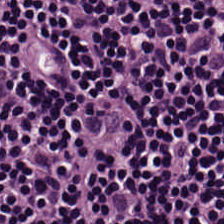224×224 px tile · H&E-stained tissue section — Showing lymphoid infiltrate.
